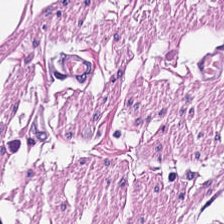Hematoxylin and eosin · 224×224 pixel tile · 0.5 microns per pixel.
This field is muscularis.
